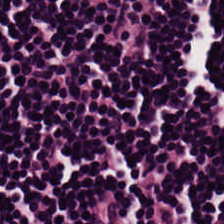FFPE tissue section; hematoxylin and eosin — Tissue type — lymphocytic infiltrate.
